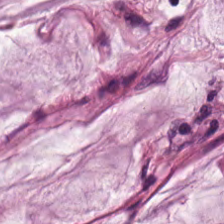Finding → mucin.
